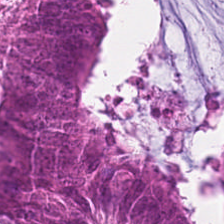H&E stain · 224×224 px tile.
Showing malignant epithelium.
